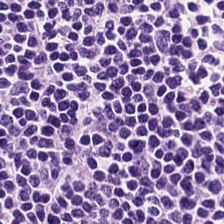H&E.
Predominantly lymphocytes.
